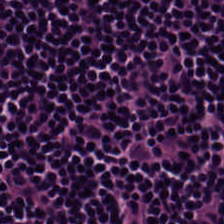Q: What does this patch show?
A: The field shows lymphocytes.
